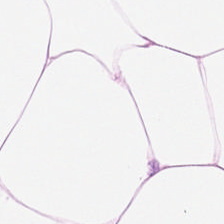H&E — Q: Identify the tissue.
A: Adipocytes.
